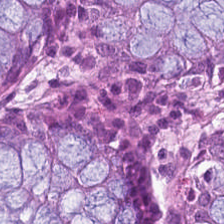224×224 px patch. H&E-stained tissue section.
The predominant tissue is normal colonic mucosa.
